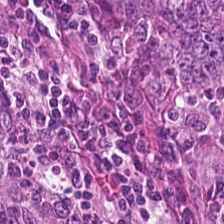H&E.
Predominantly tumor epithelium.
